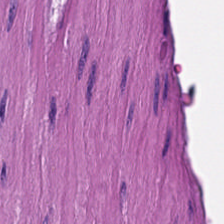The tissue here is muscularis.
